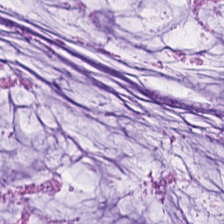0.5 microns per pixel; H&E-stained tissue section.
The predominant tissue is extracellular mucin.
